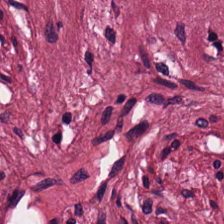Hematoxylin and eosin.
The tissue type is tumor stroma.
